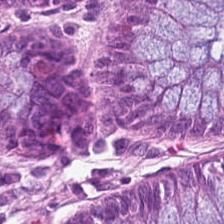FFPE tissue section · hematoxylin-and-eosin stained section. Predominantly non-neoplastic colon mucosa.
